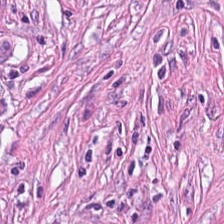Hematoxylin and eosin — Q: What is the predominant tissue type?
A: This is cancer-associated stroma.
